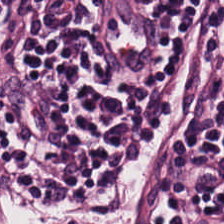Finding → lymphoid infiltrate.
